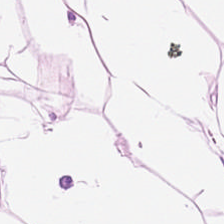FFPE · H&E-stained tissue section.
The tissue is adipose.
